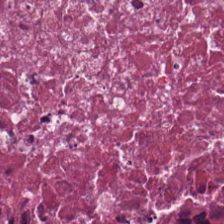H&E stain. Classification: cellular debris.
